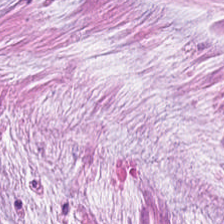Tissue type — extracellular mucin.
